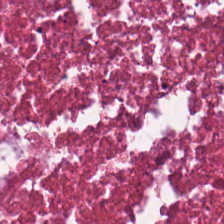H&E stain. Formalin-fixed paraffin-embedded section. Brightfield microscopy.
Predominantly debris.
